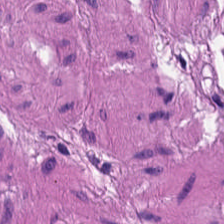0.5 µm per pixel; FFPE tissue section; H&E-stained tissue section. Q: What is the predominant tissue type?
A: This is muscularis.
